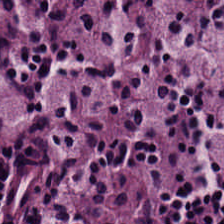H&E stain; WSI patch.
Predominantly lymphoid infiltrate.
